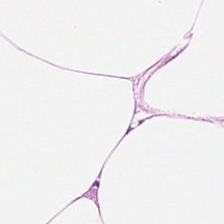Stain: H&E stain.
Tissue type: adipose.
